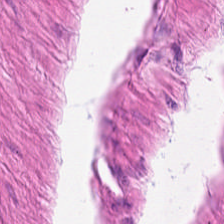Hematoxylin-and-eosin stained section.
Predominant tissue — smooth-muscle tissue.
